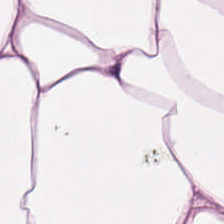H&E — Impression → adipose.
